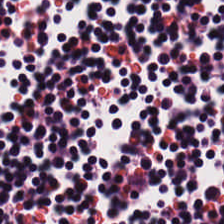Whole-slide-image patch · hematoxylin-and-eosin stained section — Q: What is shown here?
A: This is lymphocyte aggregate.
